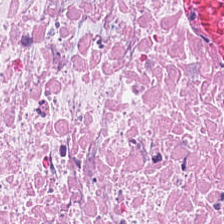Formalin-fixed paraffin-embedded section · hematoxylin and eosin.
Tissue class = cellular debris.
